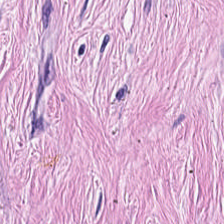H&E — Classification = cancer-associated stroma.
